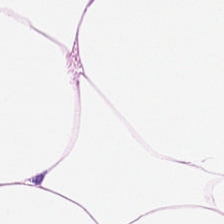H&E-stained tissue section — This patch shows fat tissue.
